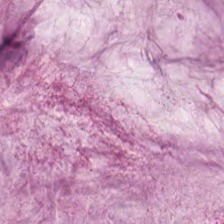Hematoxylin-and-eosin stained section. Tissue type — extracellular mucin.
